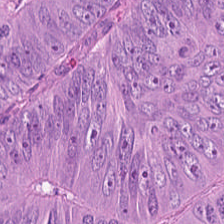Q: What tissue type is shown here?
A: Adenocarcinoma.
